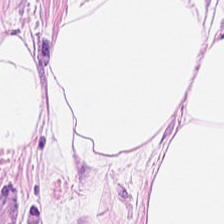H&E · 0.5 µm/px. The tissue class is adipose.
